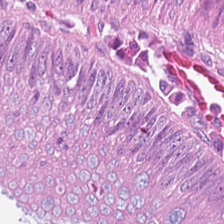Stain: H&E.
Acquisition: WSI patch.
Predominant tissue: colorectal adenocarcinoma.
